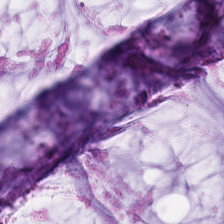Hematoxylin-and-eosin stained section. 0.5 microns per pixel.
Histology — extracellular mucin.
